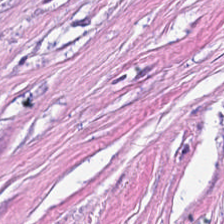Stain: H&E-stained tissue section.
Classification: cancer-associated stroma.
